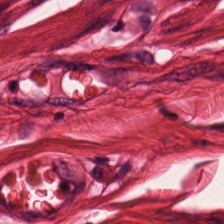Hematoxylin-and-eosin stained section. 224×224 px tile. 0.5 microns per pixel — Q: What is shown in this field?
A: The field shows smooth muscle.
